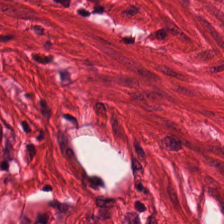This patch shows smooth-muscle tissue.
